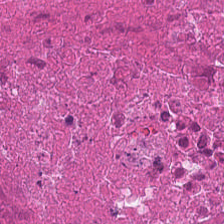Hematoxylin-and-eosin stained section — The tissue type is debris.
